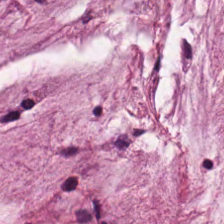FFPE. Brightfield. Hematoxylin-and-eosin stained section — This patch shows mucin.
